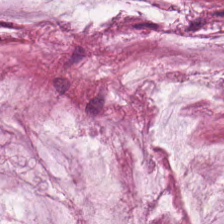H&E — The tissue is mucin.
